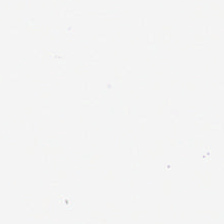Hematoxylin and eosin — The field content is background.
